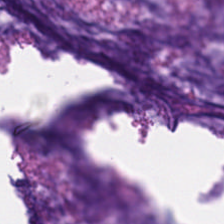H&E. 0.5 microns per pixel — The tissue here is mucin.
